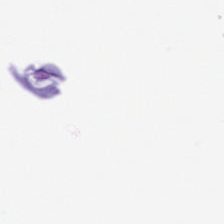H&E-stained tissue section. This field is background (no tissue).
